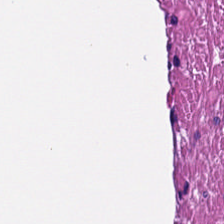H&E patch showing muscularis.
